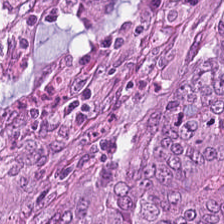H&E stain — Q: Identify the tissue.
A: The field shows colorectal adenocarcinoma epithelium.
